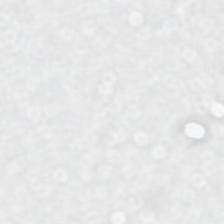Hematoxylin-and-eosin stained section. Field content = background (no tissue).
